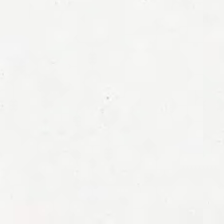Hematoxylin and eosin. Q: Classify this patch.
A: It is background (no tissue).
